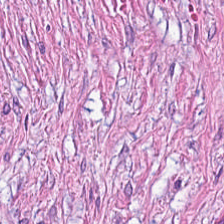H&E-stained tissue section. Formalin-fixed paraffin-embedded section.
Predominant tissue — tumor stroma.
